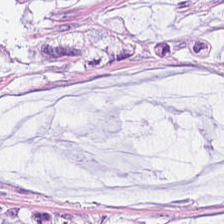H&E stain; FFPE tissue section.
Impression → mucus.
